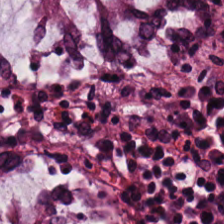Q: What is shown in this field?
A: It is non-neoplastic colon mucosa.
